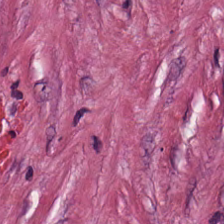Whole-slide-image patch · FFPE · hematoxylin-and-eosin stained section.
Q: What is shown in this field?
A: The field shows cancer-associated stroma.
